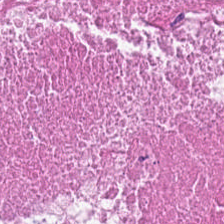H&E. Tissue class — debris.
